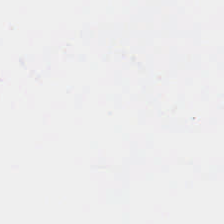Empty background.
